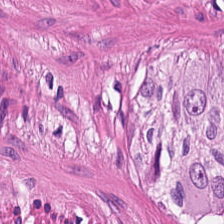Hematoxylin-and-eosin stained section. This patch shows smooth-muscle tissue.
